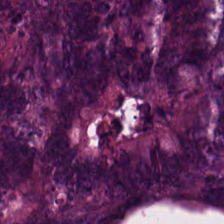H&E stain.
Tissue: tumor epithelium.
